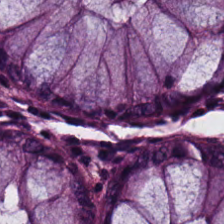Hematoxylin and eosin. The classification is normal colon mucosa.
